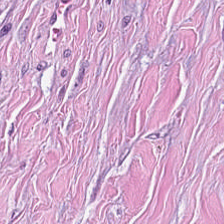Hematoxylin-and-eosin stained section — Predominant tissue — tumor stroma.
